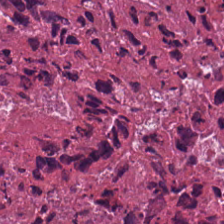{"tissue_type": "necrotic debris"}
